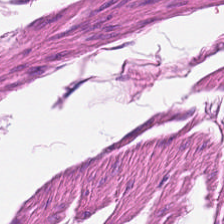H&E patch showing smooth-muscle tissue.
